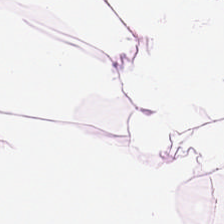Stain: hematoxylin and eosin.
Resolution: 0.5 microns per pixel.
Tissue class: adipose tissue.
